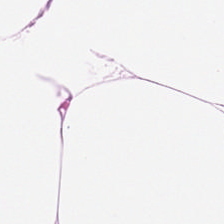Tissue class = adipose.
